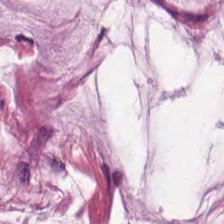Stain: H&E.
Tile size: 224×224 px patch.
Tissue class: extracellular mucin.
